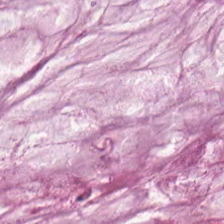H&E-stained tissue section. The predominant tissue is extracellular mucin.
